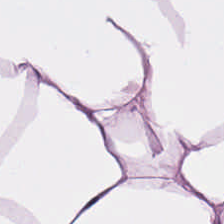H&E-stained tissue section; brightfield.
{"tissue_type": "adipose"}
